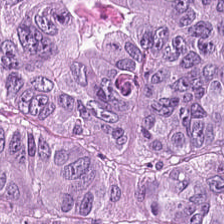Hematoxylin-and-eosin stained section.
Histology → colorectal adenocarcinoma epithelium.
